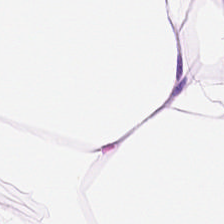Hematoxylin and eosin.
Q: What is the predominant tissue type?
A: This is fat tissue.
